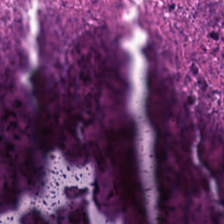Stain: H&E stain.
Classification: necrotic debris.
